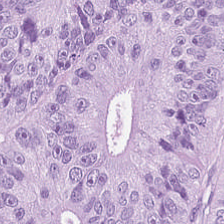FFPE tissue section; H&E stain. This patch shows adenocarcinoma.
